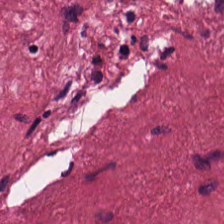H&E stain.
This field is cancer-associated stroma.
